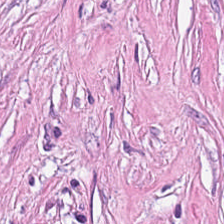{"tissue_type": "tumor-associated stroma"}
